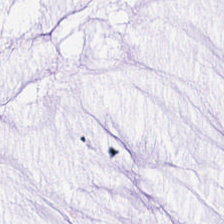Hematoxylin-and-eosin stained section. Q: What is the predominant tissue type?
A: The field shows extracellular mucin.
